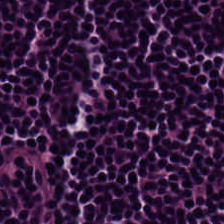H&E · 224×224 pixel tile. Showing lymphocytes.
